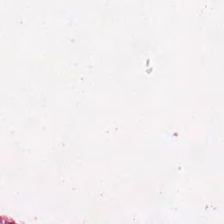H&E stain; brightfield.
Tissue = cellular debris.
